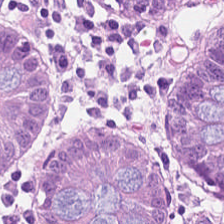Stain: H&E-stained tissue section.
Tissue class: non-neoplastic colon mucosa.
